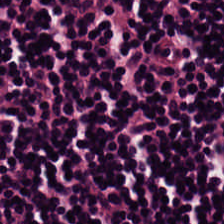Q: Classify this patch.
A: Lymphocytes.
